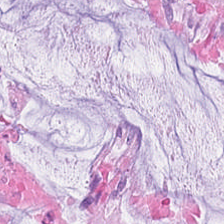H&E. This field is extracellular mucin.
